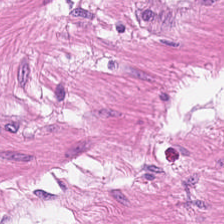Hematoxylin and eosin.
This field is smooth-muscle tissue.
